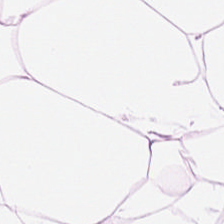{"tissue_type": "fat tissue"}
